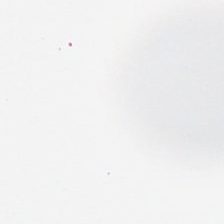Stain: H&E-stained tissue section.
Content: background (no tissue).
